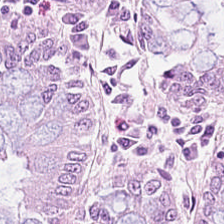This patch shows normal colonic mucosa.
